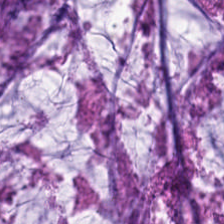H&E-stained tissue section · 224×224 pixel tile — The predominant tissue is extracellular mucin.
